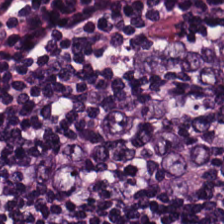H&E. Brightfield — Predominant tissue — lymphoid infiltrate.
